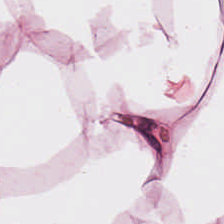H&E stain.
Tissue type = adipocytes.
